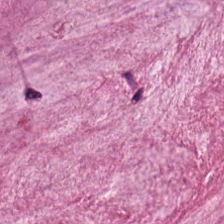Stain: hematoxylin-and-eosin stained section.
Classification: mucus.
